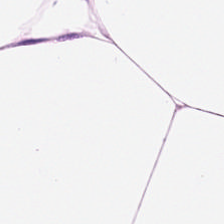H&E-stained tissue section. Adipocytes.
